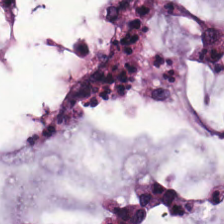Hematoxylin-and-eosin stained section. Q: What does this patch show?
A: It is mucin.
